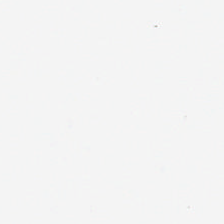H&E-stained tissue section; FFPE.
The content is no tissue.
